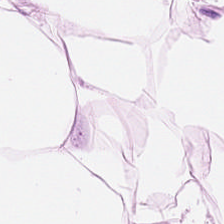H&E-stained tissue section.
Showing fat tissue.
